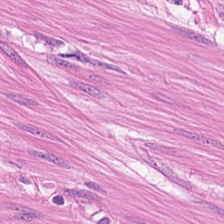Histology → smooth muscle.
